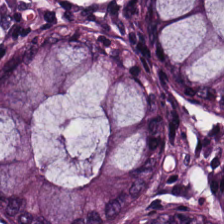224×224 px tile · H&E · brightfield. {"tissue_type": "normal colonic mucosa"}
